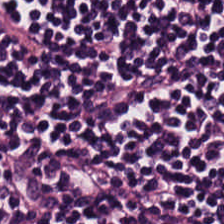H&E stain. Showing lymphocytes.
